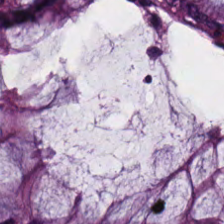Hematoxylin-and-eosin stained section. The tissue is benign colonic mucosa.
